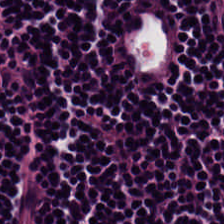H&E-stained tissue section.
Q: What type of tissue is this?
A: Lymphoid infiltrate.
